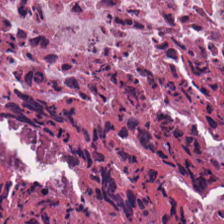Stain: hematoxylin-and-eosin stained section.
Tissue type: necrotic debris.
